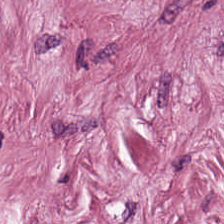0.5 µm per pixel · hematoxylin and eosin · 224×224 pixel tile. Tissue type = desmoplastic stroma.
